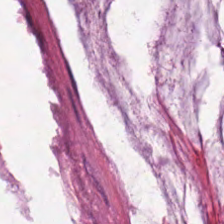{"tissue_type": "mucin"}
